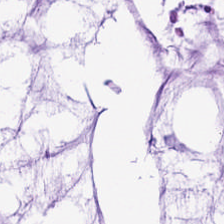Histology → mucin.
